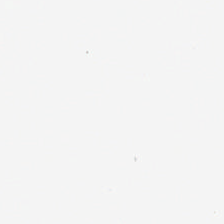Stain: hematoxylin and eosin.
Preparation: FFPE.
Acquisition: whole-slide-image patch.
Classification: background (no tissue).
